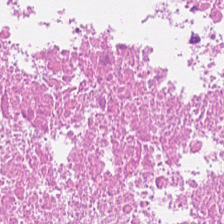The tissue type is cellular debris.
